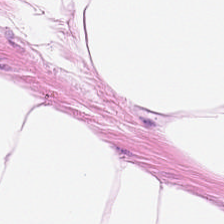Finding → adipocytes.
